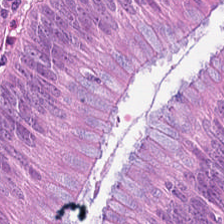Hematoxylin and eosin; 0.5 µm/px. This patch shows adenocarcinoma.
